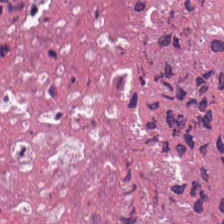Classification — cellular debris.
